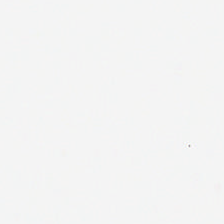0.5 microns per pixel; 224×224 pixel tile; hematoxylin and eosin — Empty background.
